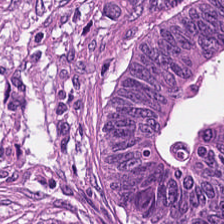Tissue type = malignant epithelium.
